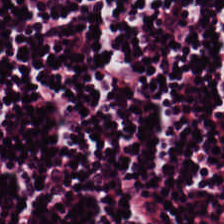H&E stain · 0.5 µm/px — Q: What does this patch show?
A: This is lymphoid infiltrate.
